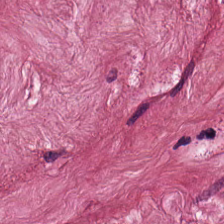Tissue = tumor-associated stroma.
